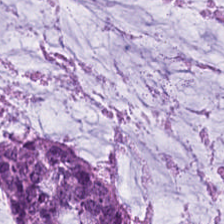Stain: H&E-stained tissue section.
Preparation: FFPE tissue section.
Tissue type: mucin.
